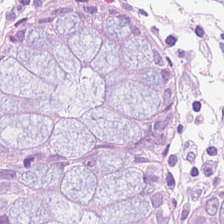H&E-stained tissue section — Histology → normal colon mucosa.
